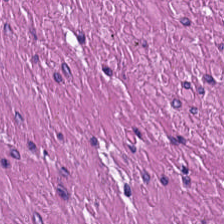H&E. Tissue — smooth-muscle tissue.
